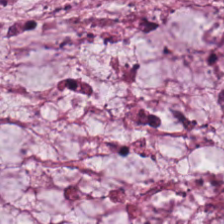Hematoxylin-and-eosin stained section.
This patch shows extracellular mucin.
